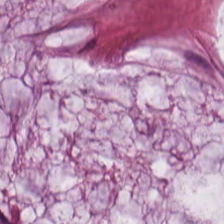H&E stain. Predominantly mucus.
